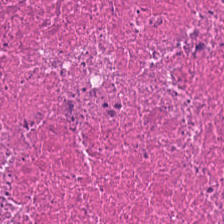H&E-stained tissue section · 224×224 pixel tile · FFPE.
Q: Classify this patch.
A: This is cellular debris.
